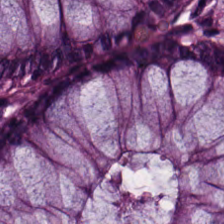Brightfield microscopy; 0.5 microns per pixel; H&E-stained tissue section. The predominant tissue is non-neoplastic colon mucosa.
